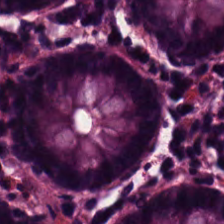H&E stain. Q: What type of tissue is this?
A: Normal colon mucosa.
